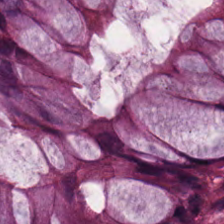The tissue here is normal colonic mucosa.
